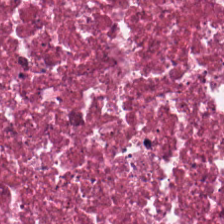H&E stain — The classification is necrotic debris.
